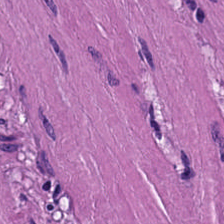H&E stain.
The predominant tissue is muscularis.
